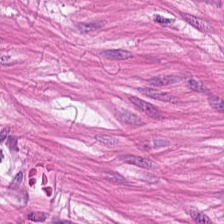Hematoxylin and eosin — Histology → smooth-muscle tissue.
